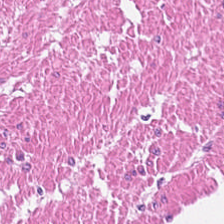H&E.
Smooth muscle.
